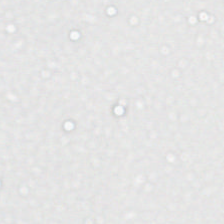Stain: hematoxylin-and-eosin stained section.
Classification: background.
